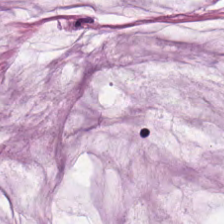224×224 px patch · WSI patch · H&E — This field is mucus.
